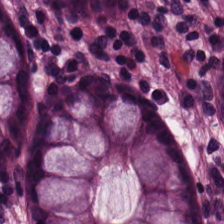H&E. Predominant tissue — normal colon mucosa.
